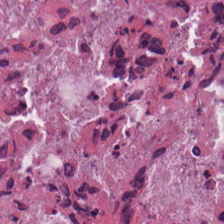Cellular debris.
